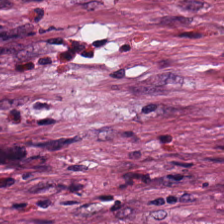Stain: H&E.
Tissue type: tumor stroma.
